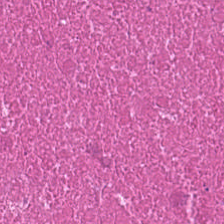Hematoxylin-and-eosin stained section — This patch shows necrotic debris.
